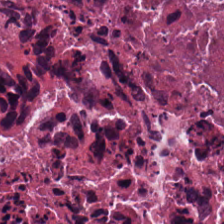The predominant tissue is necrotic debris.
